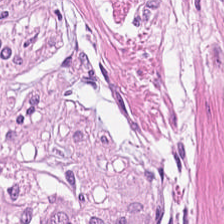H&E.
This field is smooth muscle.
